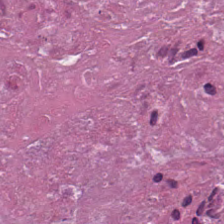Hematoxylin-and-eosin stained section. 224×224 px patch. The tissue here is necrotic debris.
